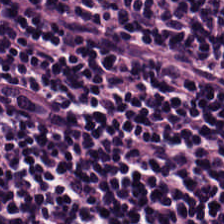This patch shows lymphoid infiltrate.
